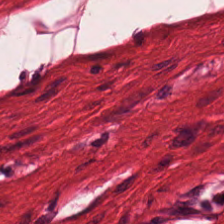224×224 px patch · FFPE · hematoxylin-and-eosin stained section. Finding — muscularis.
